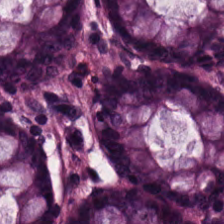Stain: H&E stain.
Tissue: normal colonic mucosa.
